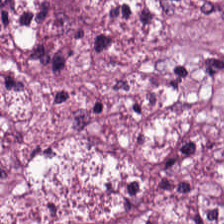Tissue — cancer-associated stroma.
